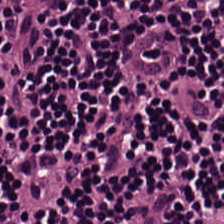H&E. Predominant tissue — lymphoid infiltrate.
